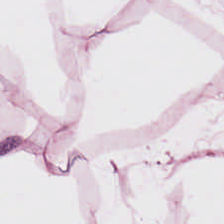H&E.
Histology → adipose tissue.
